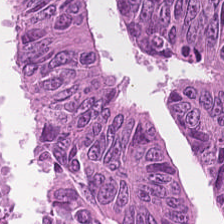Q: What is the predominant tissue type?
A: Colorectal adenocarcinoma.
